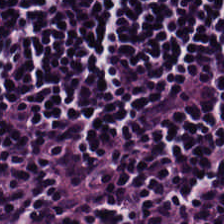Hematoxylin-and-eosin stained section.
Lymphoid infiltrate.
